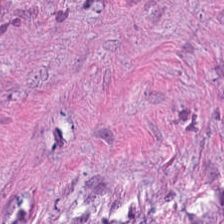H&E-stained section; the field shows cancer-associated stroma.
